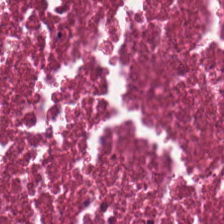Classification — necrotic debris.
